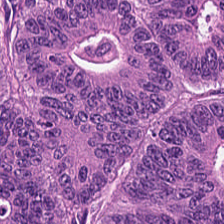H&E — {"tissue_type": "tumor epithelium"}
